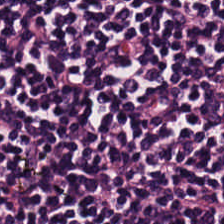Hematoxylin and eosin. Histology — lymphoid infiltrate.
